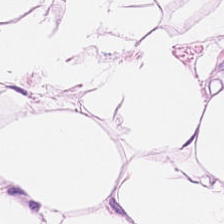H&E stain — Predominantly adipocytes.
